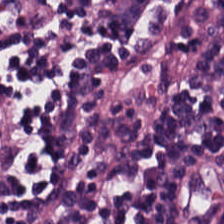Whole-slide-image patch. H&E stain — Lymphocytic infiltrate.
